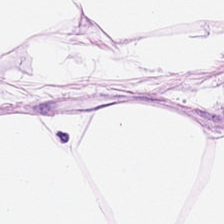H&E-stained tissue section. 0.5 µm/px.
Q: What type of tissue is this?
A: Adipose.
